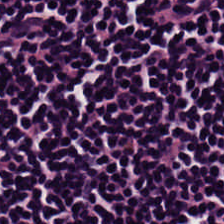H&E-stained tissue section — The predominant tissue is lymphocytes.
